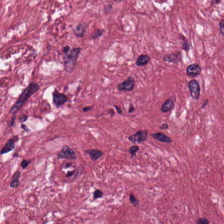H&E stain — Predominant tissue = tumor-associated stroma.
